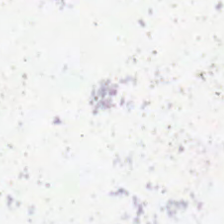Histology — background (no tissue).
